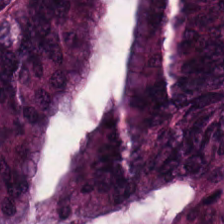Stain: H&E stain.
Tissue class: adenocarcinoma.
